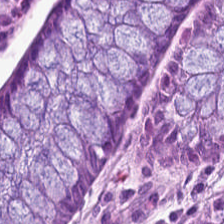Hematoxylin-and-eosin stained section — Q: What is shown here?
A: The field shows normal colon mucosa.
